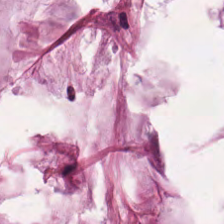Stain: H&E.
Classification: mucus.
